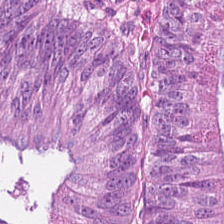Tissue: colorectal adenocarcinoma epithelium.
